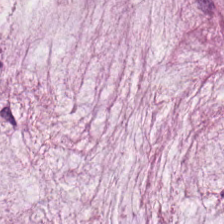H&E-stained tissue section.
Classification = mucin.
